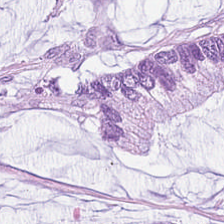Mucin.
